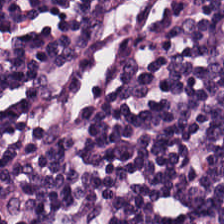H&E-stained tissue section · WSI patch.
Tissue class — lymphocytes.
